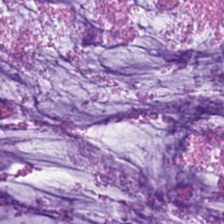20× equivalent magnification · H&E — Predominant tissue = mucin.
